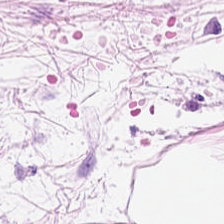224×224 px tile; hematoxylin-and-eosin stained section. The tissue class is adipocytes.
